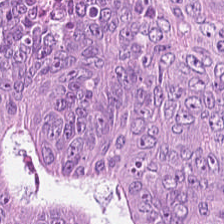H&E-stained tissue section — Tissue class = colorectal adenocarcinoma.
